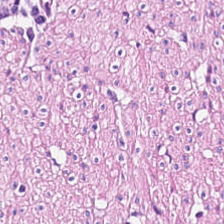Hematoxylin and eosin.
The predominant tissue is smooth muscle.
